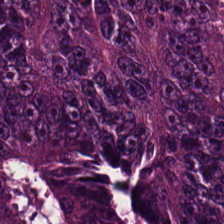Impression — adenocarcinoma.
